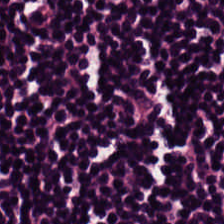Hematoxylin-and-eosin stained section. Predominant tissue — lymphoid infiltrate.
